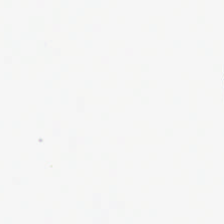H&E-stained tissue section · FFPE · 0.5 µm/px. Background — no tissue in this field.
